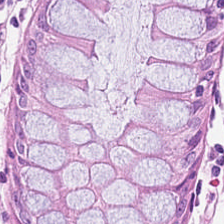224×224 px tile. Formalin-fixed paraffin-embedded section. Hematoxylin and eosin.
Showing benign colonic mucosa.
